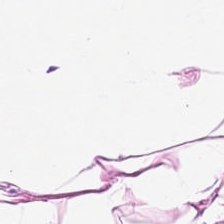H&E — fat tissue.
